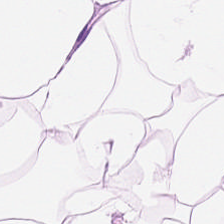FFPE. H&E-stained tissue section. Q: What is shown here?
A: Adipocytes.
